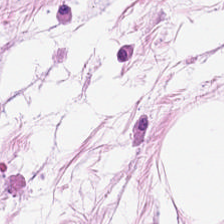Hematoxylin and eosin. Tissue — adipose tissue.
